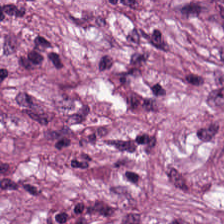H&E-stained tissue section.
Finding → tumor stroma.
